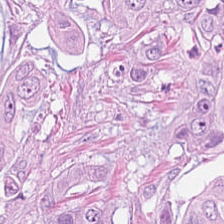Brightfield; hematoxylin-and-eosin stained section. Showing colorectal adenocarcinoma epithelium.
